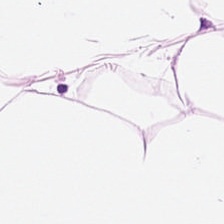H&E stain. 0.5 µm per pixel — Predominant tissue — fat tissue.
